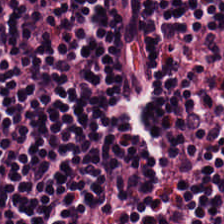H&E stain; 0.5 µm per pixel; whole-slide-image patch — Lymphoid infiltrate.
